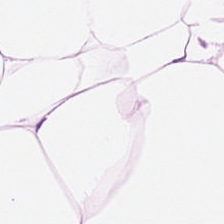H&E-stained section; the field shows adipose tissue.
